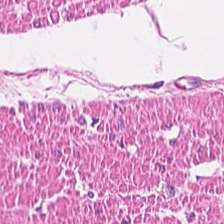H&E-stained tissue section — Showing muscularis.
